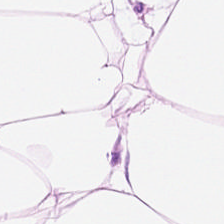Hematoxylin and eosin.
Showing adipocytes.
